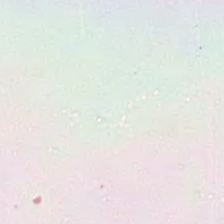Field content: background (no tissue).
